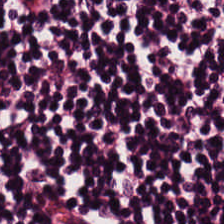Hematoxylin-and-eosin stained section; formalin-fixed paraffin-embedded section — Tissue type: lymphoid infiltrate.
